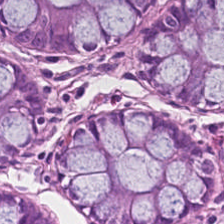Hematoxylin and eosin.
Histology — non-neoplastic colon mucosa.
